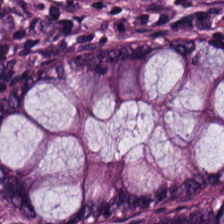224×224 px patch · H&E-stained tissue section — This patch shows normal colon mucosa.
